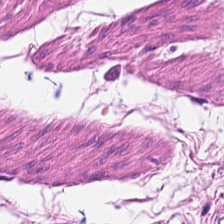This patch shows smooth muscle.
